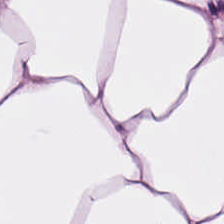H&E-stained tissue section. 0.5 µm per pixel.
Q: What type of tissue is this?
A: It is adipose.
